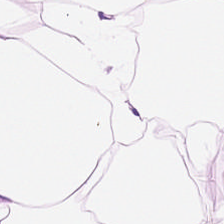Brightfield microscopy · H&E.
Adipocytes.
